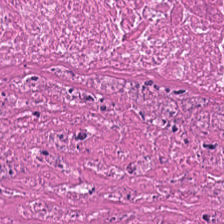Hematoxylin and eosin. Predominant tissue — cellular debris.
